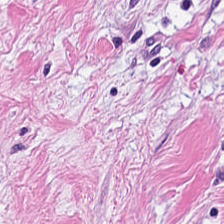This patch shows tumor stroma.
